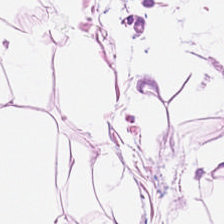Q: Classify this patch.
A: This is fat tissue.
